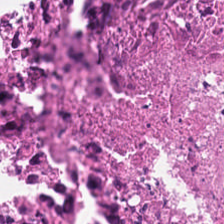Hematoxylin and eosin; FFPE tissue section.
{"tissue_type": "cellular debris"}
